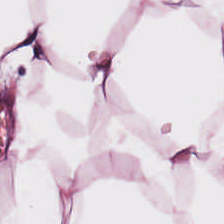H&E stain; 224×224 px tile; FFPE tissue section. Tissue: adipose.
